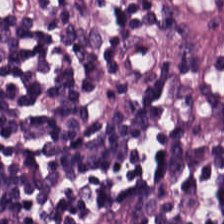Tissue class — lymphocytic infiltrate.
